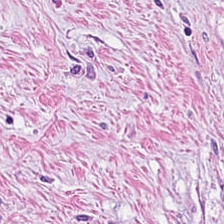Stain: H&E.
Tissue: tumor stroma.
